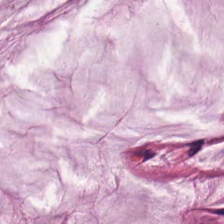224×224 px tile · hematoxylin and eosin. Q: What type of tissue is this?
A: The field shows extracellular mucin.
